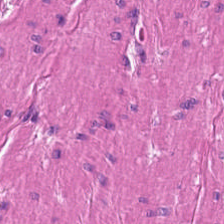H&E stain; formalin-fixed paraffin-embedded section.
The predominant tissue is muscularis.
